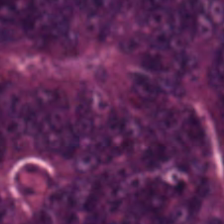Stain: hematoxylin and eosin.
Tissue: tumor epithelium.
